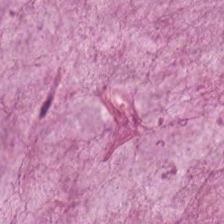{"tissue_type": "mucus"}
